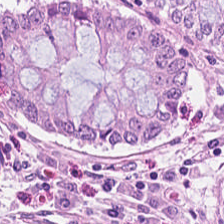H&E stain. Predominantly normal colonic mucosa.
